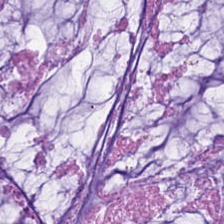Hematoxylin-and-eosin stained section. 224×224 px tile. Q: Classify this patch.
A: The field shows mucin.
